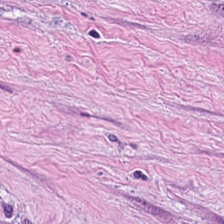This patch shows desmoplastic stroma.
